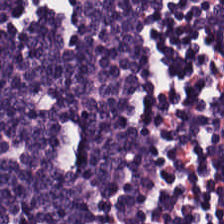H&E-stained tissue section — Q: What tissue is shown?
A: The field shows lymphocytes.
